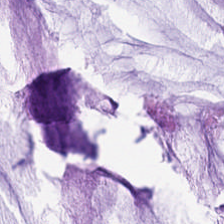0.5 µm per pixel. H&E stain — Predominantly mucus.
